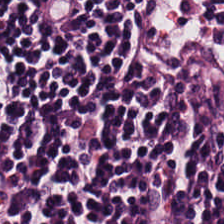Lymphocyte aggregate.
